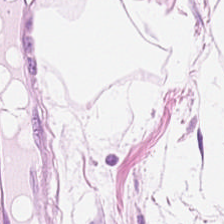H&E-stained tissue section — The tissue here is adipocytes.
